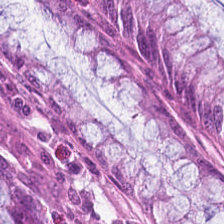Brightfield. H&E-stained tissue section. 224×224 px patch — This patch shows normal colon mucosa.
